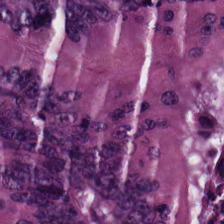FFPE; hematoxylin-and-eosin stained section; brightfield microscopy. Q: What tissue type is shown here?
A: The field shows malignant epithelium.
